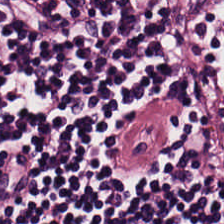Hematoxylin and eosin. The tissue here is lymphocyte aggregate.
